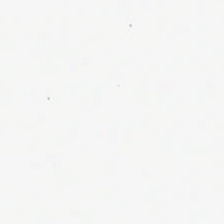Field content: background (no tissue).
